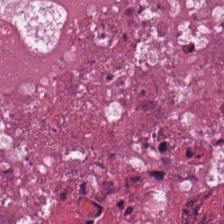Q: What is the predominant tissue type?
A: It is necrotic debris.
